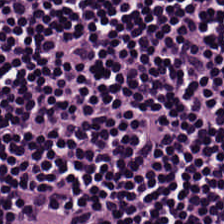H&E-stained tissue section · FFPE — This field is lymphoid infiltrate.
